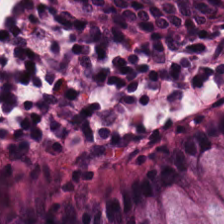H&E — non-neoplastic colon mucosa.
